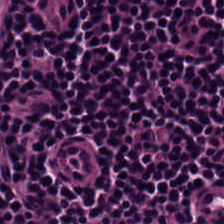The classification is lymphocyte aggregate.
